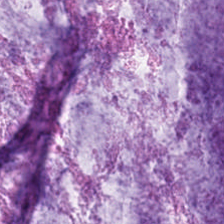H&E — Tissue type: extracellular mucin.
